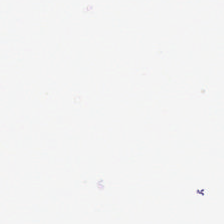224×224 px patch; H&E-stained tissue section. The classification is empty background.
